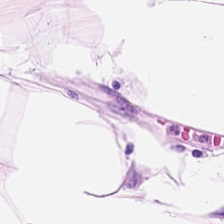224×224 px tile. H&E-stained tissue section.
Classification — adipose tissue.
